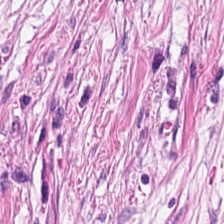Stain: H&E stain.
Predominant tissue: desmoplastic stroma.
